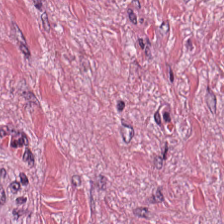224×224 pixel tile; hematoxylin and eosin — Tissue: tumor-associated stroma.
